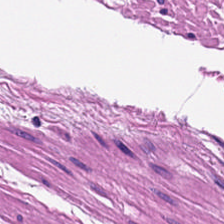H&E-stained tissue section. Q: Classify this patch.
A: It is muscularis.
